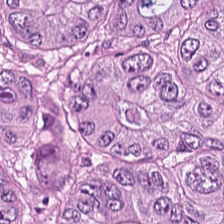Showing colorectal adenocarcinoma epithelium.
